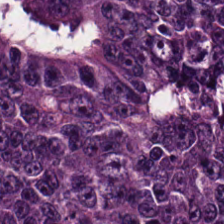Hematoxylin-and-eosin stained section — Tissue type: tumor epithelium.
